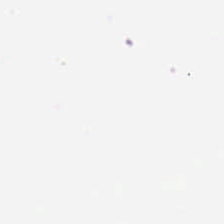Empty field — background (no tissue).
